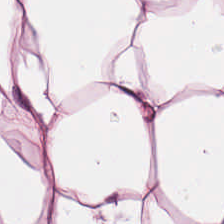WSI patch. H&E stain.
Histology → fat tissue.
